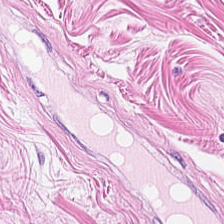{"tissue_type": "muscularis"}
